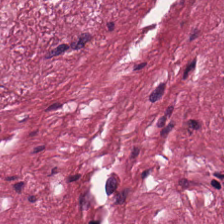Stain: H&E-stained tissue section.
Tissue: tumor stroma.
